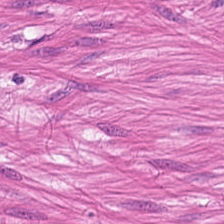Stain: H&E stain.
Predominant tissue: smooth-muscle tissue.
